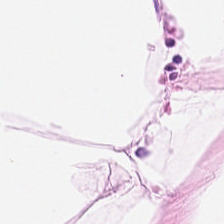Tissue type = fat tissue.
